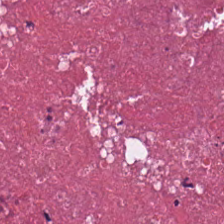H&E-stained tissue section — The predominant tissue is cellular debris.
